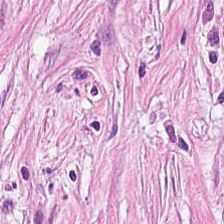Tissue class — cancer-associated stroma.
